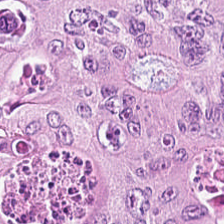Stain: H&E-stained tissue section.
Tissue type: adenocarcinoma.
